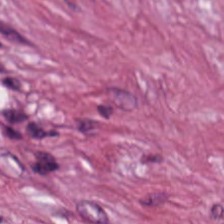WSI patch · H&E · FFPE — Q: Identify the tissue.
A: This is tumor-associated stroma.
